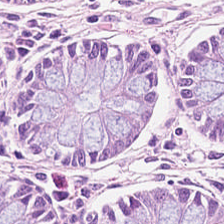Predominant tissue = non-neoplastic colon mucosa.
